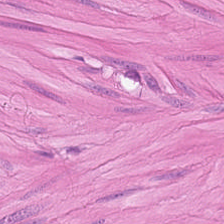Hematoxylin-and-eosin stained section — Smooth muscle.
